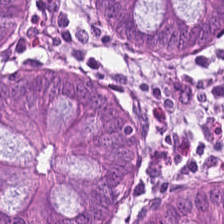Hematoxylin-and-eosin stained section · FFPE.
Tissue class — normal colonic mucosa.
